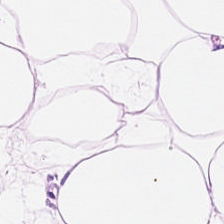H&E stain; brightfield.
Histology → fat tissue.
